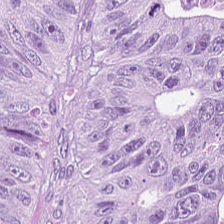H&E patch showing tumor epithelium.
